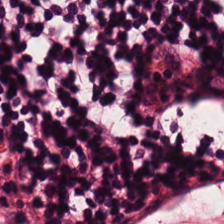Stain: H&E-stained tissue section.
Resolution: 20× equivalent magnification.
Predominant tissue: lymphoid infiltrate.
